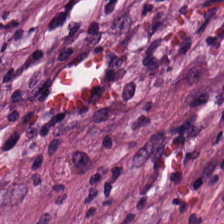H&E — cancer-associated stroma.
